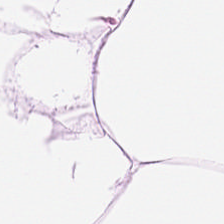H&E-stained tissue section.
Impression — fat tissue.
